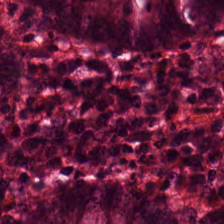H&E — The tissue here is benign colonic mucosa.
